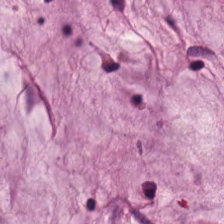H&E — Showing mucin.
